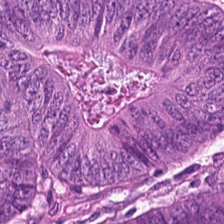Colorectal adenocarcinoma epithelium.
